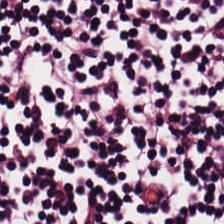The tissue class is lymphocytes.
